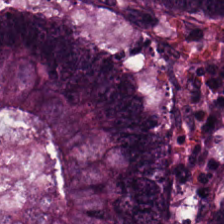Hematoxylin and eosin.
Q: Classify this patch.
A: The field shows colorectal adenocarcinoma.
